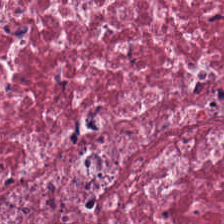H&E stain.
The tissue is tumor stroma.
